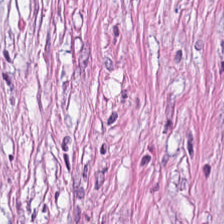H&E-stained tissue section.
Predominant tissue: tumor-associated stroma.
